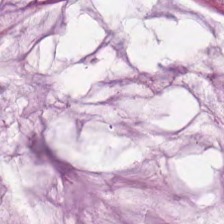Hematoxylin-and-eosin stained section.
Q: What is shown in this field?
A: The field shows extracellular mucin.
